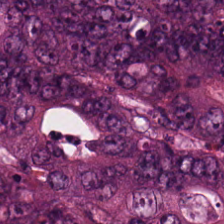224×224 px patch. H&E. WSI patch.
Showing malignant epithelium.
